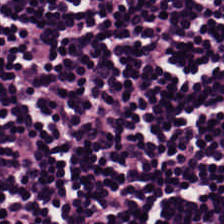Hematoxylin-and-eosin section: lymphocytic infiltrate.
